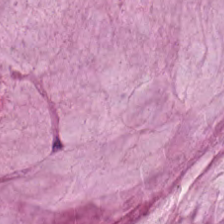The tissue class is mucus.
